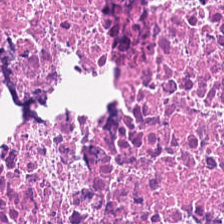Stain: H&E-stained tissue section.
Predominant tissue: cellular debris.
